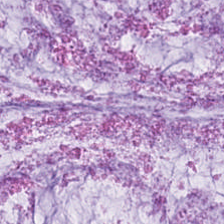Stain: H&E stain.
Tile size: 224×224 px tile.
Classification: mucus.
